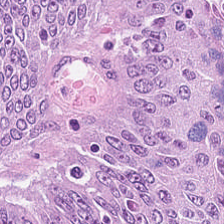H&E stain. Impression — adenocarcinoma.
